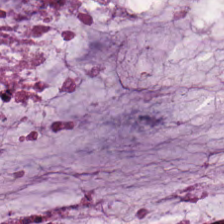H&E-stained tissue section.
Finding — extracellular mucin.
